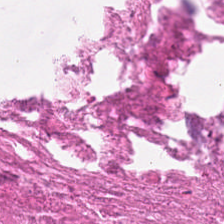H&E. This patch shows cellular debris.
